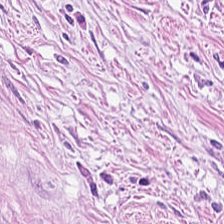0.5 microns per pixel · hematoxylin-and-eosin stained section — {"tissue_type": "tumor stroma"}
